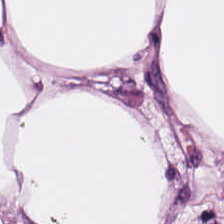Stain: hematoxylin and eosin.
Resolution: 0.5 µm/px.
Tissue class: fat tissue.
